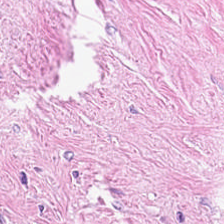H&E-stained tissue section. WSI patch.
{"tissue_type": "desmoplastic stroma"}
